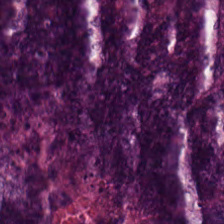Stain: H&E.
Predominant tissue: tumor epithelium.
